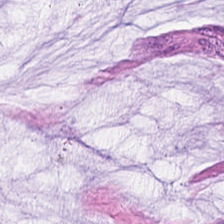H&E stain; formalin-fixed paraffin-embedded section.
Q: What is shown here?
A: The field shows mucus.
